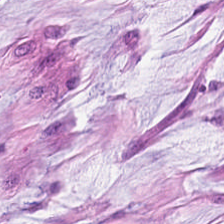Hematoxylin-and-eosin stained section; 0.5 microns per pixel; 224×224 px patch. Predominantly extracellular mucin.
